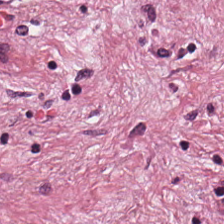H&E stain. Whole-slide-image patch. The tissue here is desmoplastic stroma.
